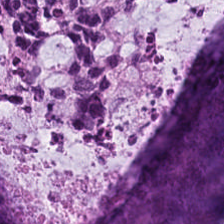Stain: H&E.
Tissue: extracellular mucin.
